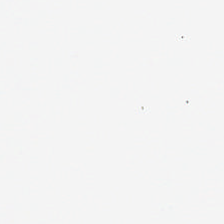H&E · 224×224 px patch. Empty background.
